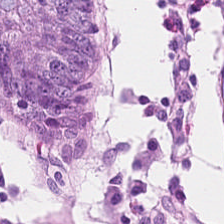{"tissue_type": "non-neoplastic colon mucosa"}
